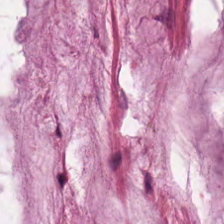Hematoxylin-and-eosin section: extracellular mucin.
